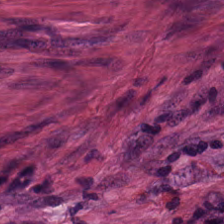Desmoplastic stroma.
